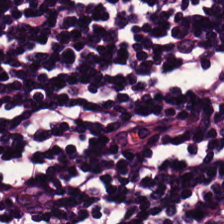Tissue type — lymphocytic infiltrate.
